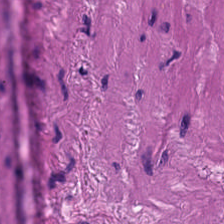0.5 microns per pixel. Hematoxylin and eosin.
Q: Identify the tissue.
A: This is muscularis.
